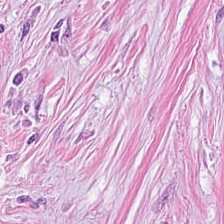H&E — Tumor-associated stroma.
